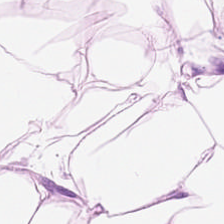Q: What tissue is shown?
A: It is adipose tissue.
